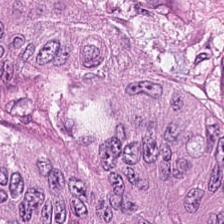H&E stain — Tissue: tumor epithelium.
